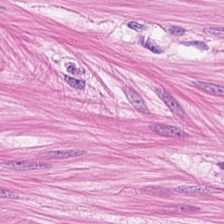Stain: H&E-stained tissue section.
Preparation: FFPE tissue section.
Tile size: 224×224 px patch.
Tissue type: smooth-muscle tissue.
